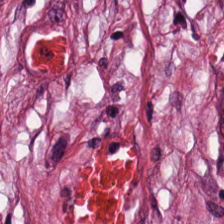Hematoxylin-and-eosin stained section.
Showing tumor stroma.
